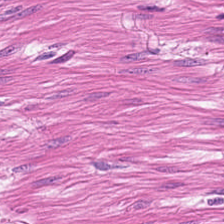0.5 µm/px; hematoxylin-and-eosin stained section; formalin-fixed paraffin-embedded section.
Predominant tissue: smooth muscle.
